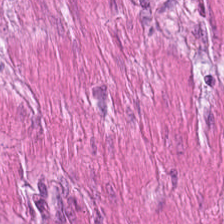224×224 px patch; H&E; FFPE — Classification: smooth-muscle tissue.
